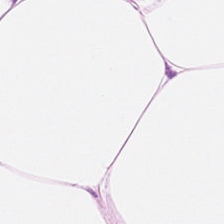0.5 µm per pixel; formalin-fixed paraffin-embedded section; H&E stain. Histology — adipose.
